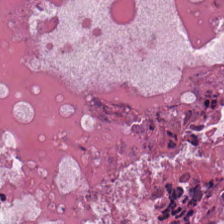H&E-stained tissue section — The tissue here is debris.
